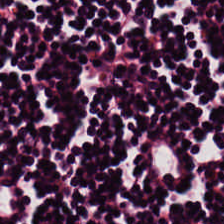Stain: H&E-stained tissue section.
Tissue type: lymphocytic infiltrate.
